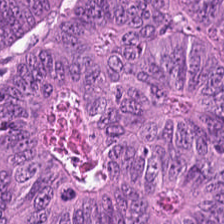H&E-stained tissue section. Whole-slide-image patch. Formalin-fixed paraffin-embedded section.
Impression — tumor epithelium.
